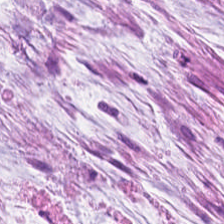224×224 px tile. Hematoxylin-and-eosin stained section.
Q: What tissue is shown?
A: Extracellular mucin.
